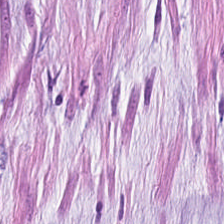Stain: hematoxylin-and-eosin stained section.
Predominant tissue: mucus.
